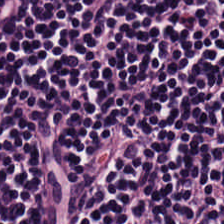Tissue class: lymphocyte aggregate.
